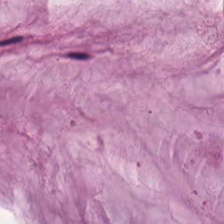Predominant tissue: mucin.
